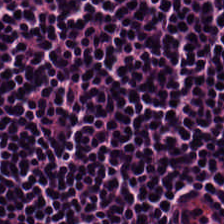Hematoxylin-and-eosin stained section — Q: What tissue is shown?
A: The field shows lymphocytic infiltrate.
